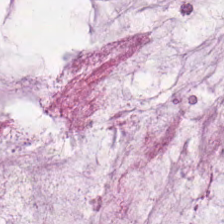Stain: H&E-stained tissue section.
Tissue type: mucin.
